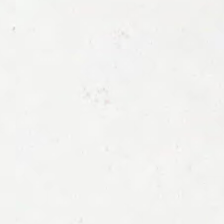WSI patch · 0.5 microns per pixel · hematoxylin and eosin — Q: What is shown here?
A: Background (no tissue).
